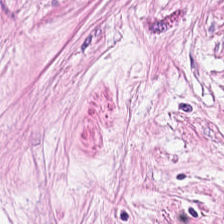H&E. Showing tumor-associated stroma.
